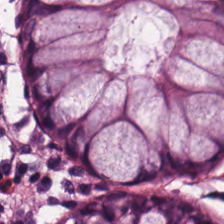Hematoxylin and eosin.
Finding — benign colonic mucosa.
